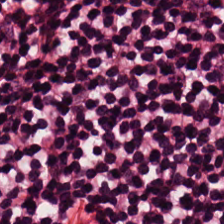Hematoxylin and eosin — This patch shows lymphocytes.
